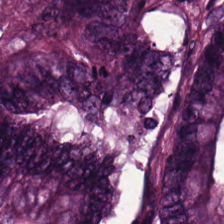The tissue type is malignant epithelium.
